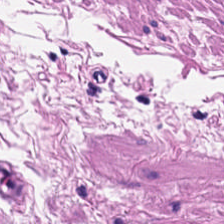0.5 µm/px · H&E stain · brightfield microscopy. Predominant tissue: muscularis.
